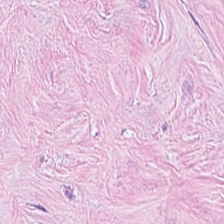Histology — tumor-associated stroma.
